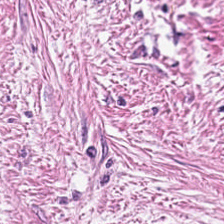H&E stain.
Classification — tumor-associated stroma.
